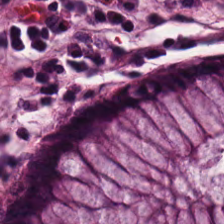Hematoxylin-and-eosin stained section — Histology — non-neoplastic colon mucosa.
